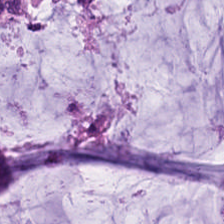20× equivalent magnification · FFPE · hematoxylin and eosin. Predominant tissue: extracellular mucin.
